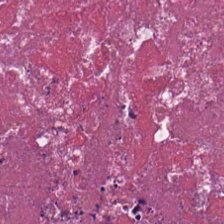Histology → cellular debris.
